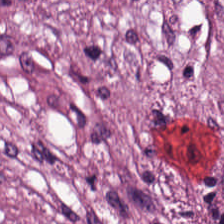H&E-stained tissue section.
The predominant tissue is desmoplastic stroma.
